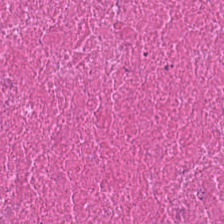Hematoxylin and eosin. The tissue type is necrotic debris.
